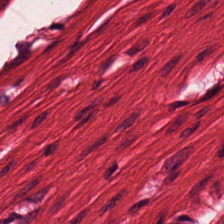Stain: H&E.
Tile size: 224×224 px patch.
Acquisition: brightfield microscopy.
Classification: smooth muscle.
